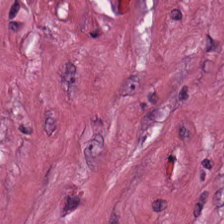H&E-stained tissue section · FFPE. The predominant tissue is cancer-associated stroma.
